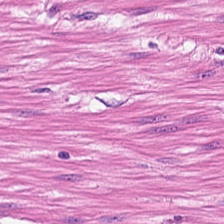Stain: hematoxylin and eosin.
Classification: smooth-muscle tissue.
